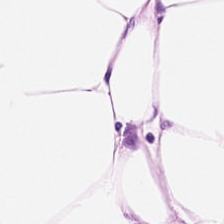H&E. Brightfield.
Tissue = adipocytes.
